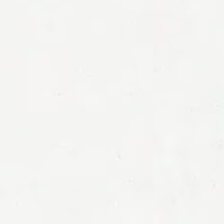Empty field — background (no tissue).
